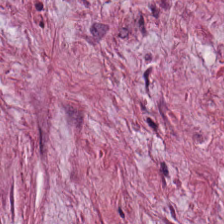The classification is tumor-associated stroma.
